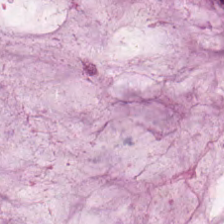Q: Classify this patch.
A: This is mucus.
